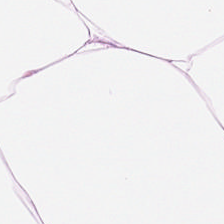Stain: hematoxylin and eosin.
Tissue type: adipose tissue.
